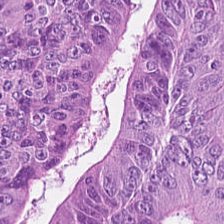The predominant tissue is tumor epithelium.
